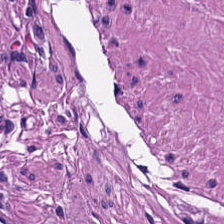224×224 pixel tile. 0.5 microns per pixel. H&E stain. Tissue class: smooth muscle.
